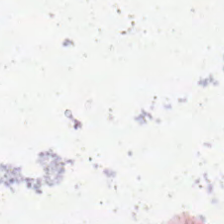Stain: H&E.
Preparation: FFPE.
Content: no tissue.
